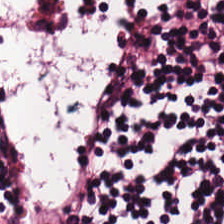H&E.
Predominant tissue: lymphocytes.
